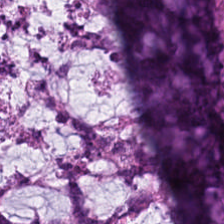H&E — The predominant tissue is mucin.
